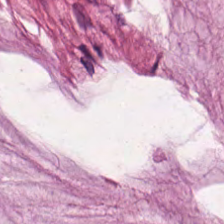Hematoxylin-and-eosin stained section — Tissue: extracellular mucin.
